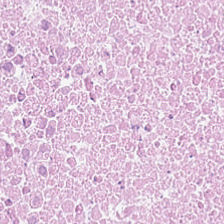H&E.
Q: What type of tissue is this?
A: The field shows debris.
